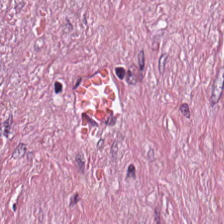Hematoxylin-and-eosin stained section · FFPE. Showing desmoplastic stroma.
